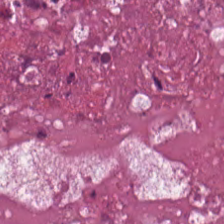Stain: hematoxylin and eosin.
Preparation: FFPE tissue section.
Tissue class: debris.
